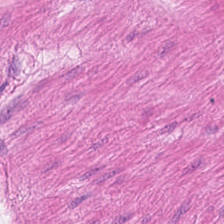Histology — smooth-muscle tissue.
